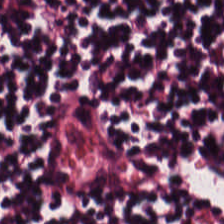H&E-stained tissue section showing lymphoid infiltrate.
